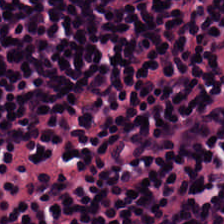224×224 pixel tile · H&E — This patch shows lymphoid infiltrate.
